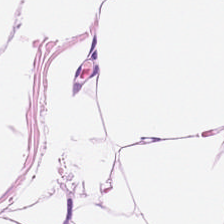Q: What tissue type is shown here?
A: The field shows adipose.
